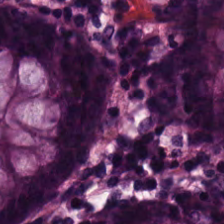WSI patch. H&E. This field is benign colonic mucosa.
